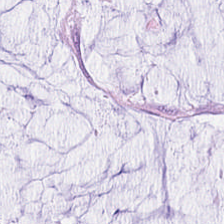This field is extracellular mucin.
